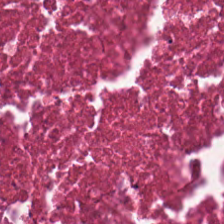H&E-stained tissue section; WSI patch; FFPE. The tissue class is cellular debris.
